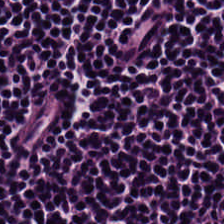Q: What type of tissue is this?
A: The field shows lymphocytic infiltrate.
